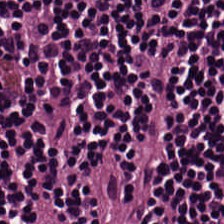Hematoxylin and eosin.
Q: What is shown in this field?
A: It is lymphocytes.
